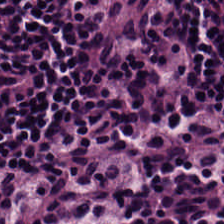Tissue class: lymphocytes.
